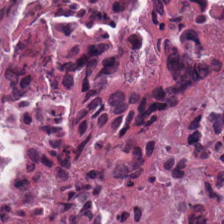Whole-slide-image patch; formalin-fixed paraffin-embedded section; hematoxylin-and-eosin stained section.
The predominant tissue is cellular debris.
